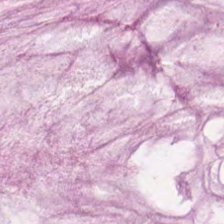0.5 µm per pixel · formalin-fixed paraffin-embedded section · H&E-stained tissue section. Predominantly mucus.
